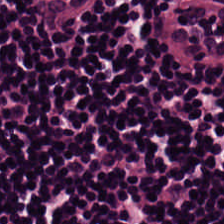Stain: hematoxylin-and-eosin stained section.
Tissue class: lymphocyte aggregate.
